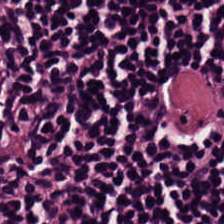H&E-stained tissue section · FFPE tissue section.
Classification: lymphocyte aggregate.
